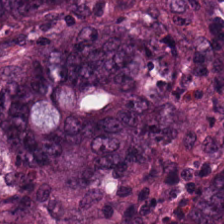H&E stain.
Tumor epithelium.
